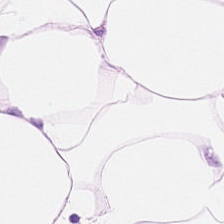Hematoxylin and eosin — The predominant tissue is adipocytes.
